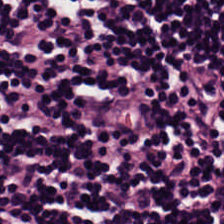Hematoxylin and eosin · brightfield microscopy.
Histology — lymphocyte aggregate.
